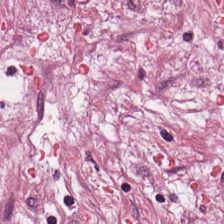H&E — The predominant tissue is tumor stroma.
